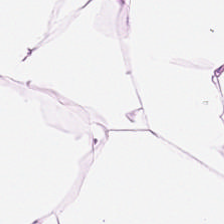Impression → adipose.
